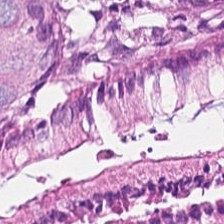224×224 px patch; H&E-stained tissue section; brightfield microscopy. Tissue — normal colon mucosa.
